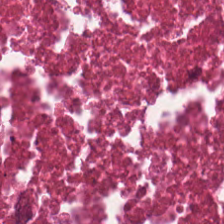Hematoxylin and eosin — Showing debris.
